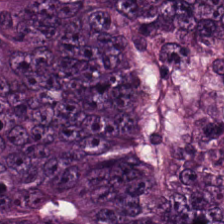H&E-stained tissue section. Q: What tissue type is shown here?
A: The field shows tumor epithelium.
